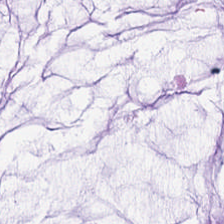Q: What is the predominant tissue type?
A: The field shows extracellular mucin.
